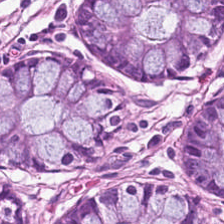Hematoxylin and eosin. Q: What tissue type is shown here?
A: The field shows benign colonic mucosa.
